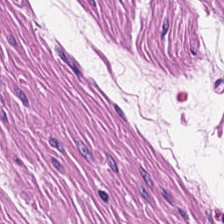H&E patch showing muscularis.
